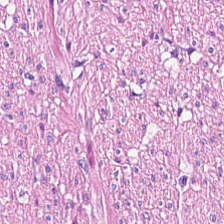Hematoxylin-and-eosin stained section · 0.5 µm per pixel — Finding → smooth-muscle tissue.
